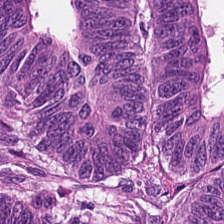Whole-slide-image patch; FFPE tissue section; H&E-stained tissue section. Predominantly colorectal adenocarcinoma.
